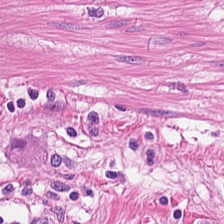Q: Classify this patch.
A: Smooth muscle.
